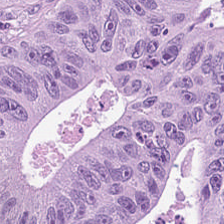Stain: H&E.
Predominant tissue: adenocarcinoma.
